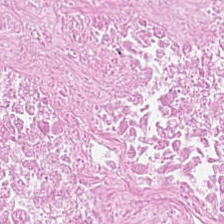FFPE tissue section · H&E stain. The predominant tissue is cellular debris.
